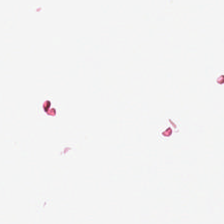H&E-stained tissue section — Field content = background (no tissue).
